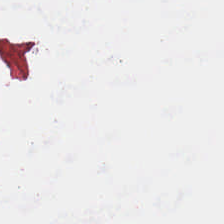Hematoxylin-and-eosin stained section.
The content is background (no tissue).
